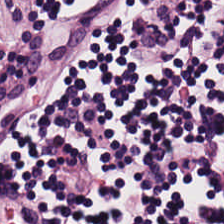H&E stain. The tissue here is lymphocytes.
